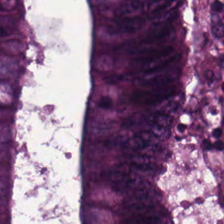H&E-stained tissue section — The tissue class is tumor epithelium.
